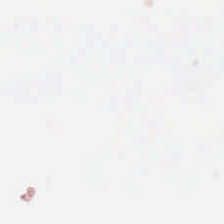224×224 px tile · H&E · FFPE tissue section. Field content = background (no tissue).
